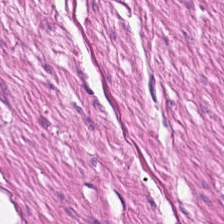Histology — smooth-muscle tissue.
